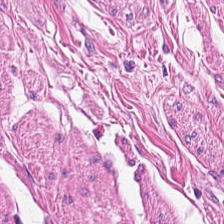Stain: H&E stain.
Classification: muscularis.
